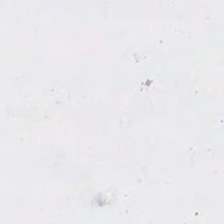Q: Classify this patch.
A: The field shows no tissue.
